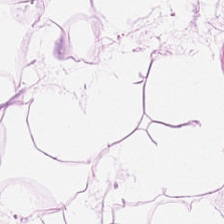Tissue class: fat tissue.
